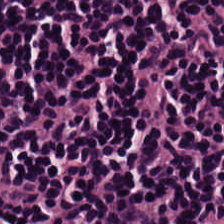H&E — Histology — lymphocyte aggregate.
